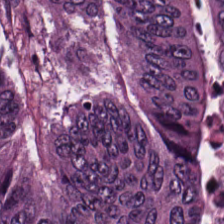Brightfield. Hematoxylin and eosin — Tissue class — malignant epithelium.
